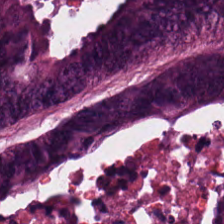Hematoxylin and eosin.
The tissue here is colorectal adenocarcinoma.
